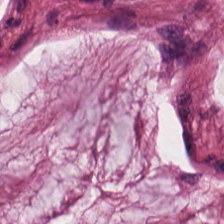Formalin-fixed paraffin-embedded section; 0.5 µm/px; H&E stain.
{"tissue_type": "extracellular mucin"}
